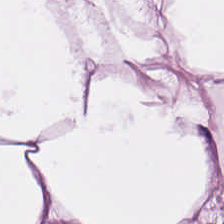H&E-stained tissue section. Whole-slide-image patch.
Fat tissue.
